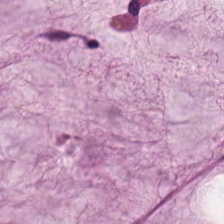H&E stain · 0.5 µm/px — This patch shows mucus.
